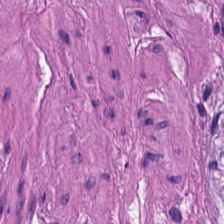Hematoxylin-and-eosin stained section. Formalin-fixed paraffin-embedded section. Smooth-muscle tissue.
